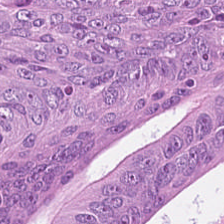0.5 microns per pixel · H&E stain · whole-slide-image patch. Classification — colorectal adenocarcinoma.
